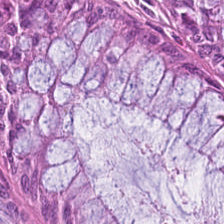H&E-stained tissue section. {"tissue_type": "benign colonic mucosa"}
